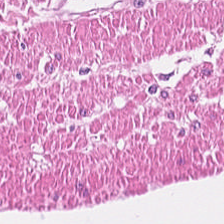H&E-stained tissue section showing smooth muscle.
